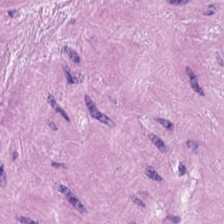H&E.
Q: What tissue type is shown here?
A: This is smooth muscle.
